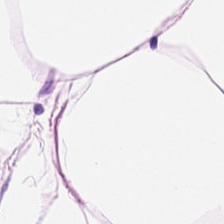Hematoxylin and eosin — Q: What is shown in this field?
A: Adipose.
